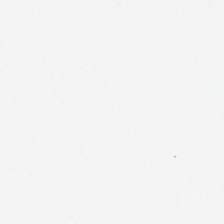224×224 px patch. Whole-slide-image patch. H&E. Background — no tissue in this field.
